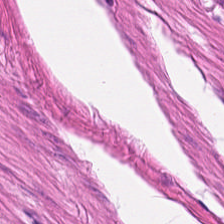224×224 pixel tile · hematoxylin and eosin — Finding → smooth-muscle tissue.
